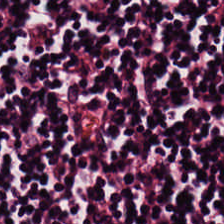Hematoxylin-and-eosin stained section. Q: Classify this patch.
A: It is lymphoid infiltrate.
